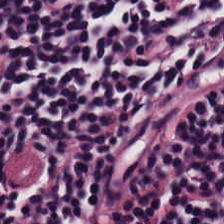Q: What is shown in this field?
A: It is lymphoid infiltrate.
